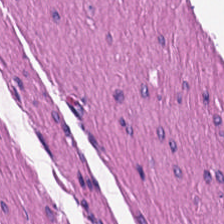224×224 px tile · hematoxylin-and-eosin stained section · 20× equivalent magnification.
The tissue class is smooth muscle.
